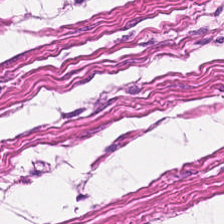224×224 pixel tile; hematoxylin and eosin — This patch shows smooth-muscle tissue.
